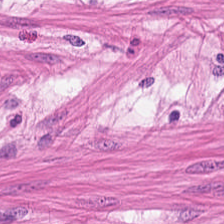Stain: H&E stain.
Tissue: smooth-muscle tissue.
